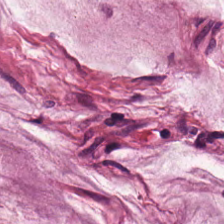Predominant tissue — mucus.
